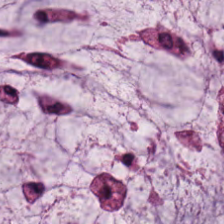Brightfield. H&E-stained tissue section. Formalin-fixed paraffin-embedded section — Tissue = mucin.
